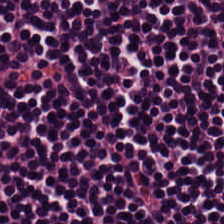Hematoxylin-and-eosin stained section · 0.5 µm/px · brightfield — Finding — lymphocytic infiltrate.
